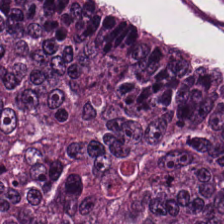H&E.
Predominantly colorectal adenocarcinoma epithelium.
